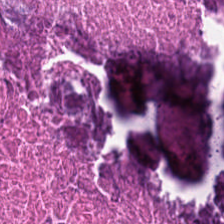Histology — cellular debris.
